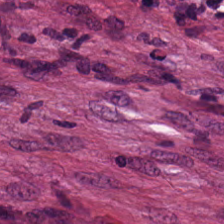H&E stain; whole-slide-image patch.
Histology → cancer-associated stroma.
